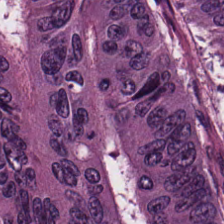Q: What does this patch show?
A: It is colorectal adenocarcinoma.
